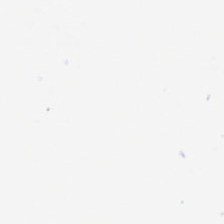0.5 microns per pixel. H&E stain — Field content — background.
